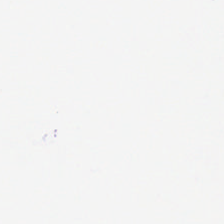Classification: background (no tissue).
